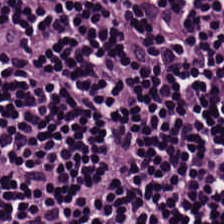Hematoxylin and eosin.
Lymphoid infiltrate.
